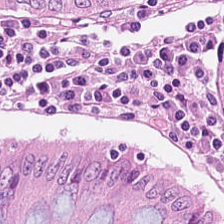Hematoxylin-and-eosin stained section.
This patch shows non-neoplastic colon mucosa.
